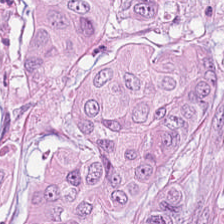Stain: hematoxylin and eosin.
Resolution: 0.5 microns per pixel.
Predominant tissue: adenocarcinoma.
